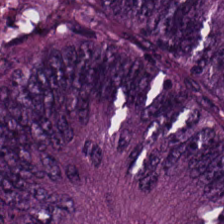Hematoxylin and eosin.
This patch shows colorectal adenocarcinoma epithelium.
